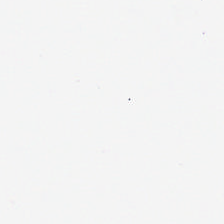H&E-stained tissue section. 0.5 µm/px.
Q: Classify this patch.
A: The field shows no tissue.
